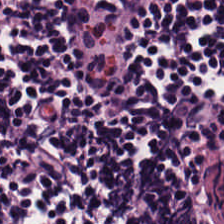Hematoxylin and eosin; 224×224 px patch. Showing lymphoid infiltrate.
